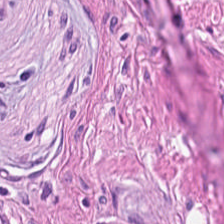Hematoxylin-and-eosin stained section — Tissue = smooth-muscle tissue.
